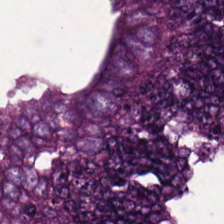H&E-stained tissue section.
The tissue here is malignant epithelium.
